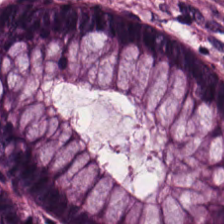H&E stain. This field is non-neoplastic colon mucosa.
